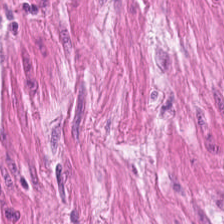Brightfield microscopy. Hematoxylin-and-eosin stained section.
This patch shows smooth muscle.
